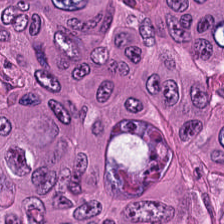H&E stain.
Tissue: tumor epithelium.
